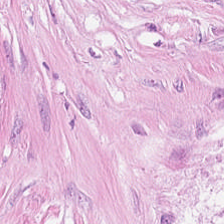H&E stain. The tissue here is cancer-associated stroma.
